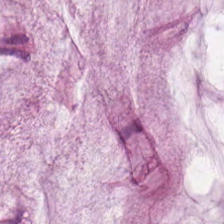H&E.
The tissue here is mucus.
